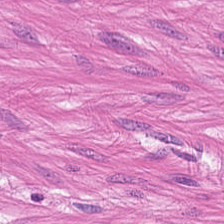WSI patch · H&E — The tissue here is muscularis.
